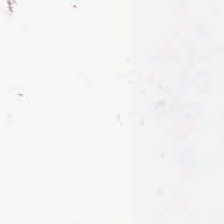Brightfield microscopy; H&E.
No tissue present; background only.
